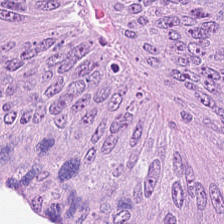H&E stain. FFPE. Tissue type — colorectal adenocarcinoma.
